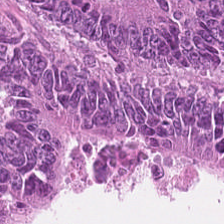H&E. Q: What is shown in this field?
A: Colorectal adenocarcinoma.
